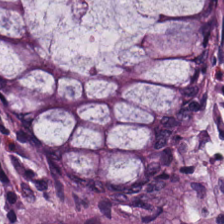H&E-stained tissue section — {"tissue_type": "normal colon mucosa"}
